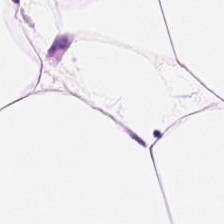Stain: H&E-stained tissue section.
Tissue class: adipocytes.
